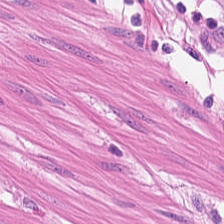H&E-stained tissue section; FFPE tissue section — Q: Classify this patch.
A: It is smooth-muscle tissue.
